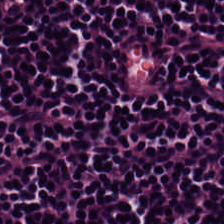H&E stain — Finding — lymphocyte aggregate.
